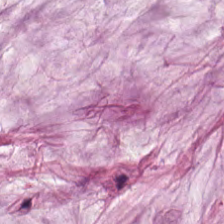Whole-slide-image patch; FFPE; H&E stain — This field is extracellular mucin.
